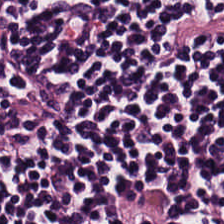20× equivalent magnification; H&E; 224×224 px patch — Q: What tissue is shown?
A: The field shows lymphocytes.
